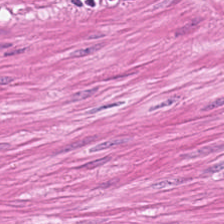H&E stain · 0.5 µm per pixel. Tissue — muscularis.
